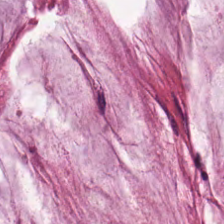H&E.
Histology — mucin.
